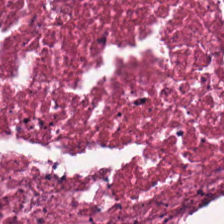The predominant tissue is cellular debris.
